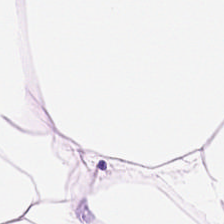H&E; 20× equivalent magnification; 224×224 px tile.
Predominant tissue — adipocytes.
